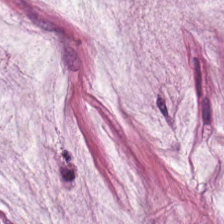Hematoxylin-and-eosin stained section.
Q: Classify this patch.
A: The field shows mucin.
